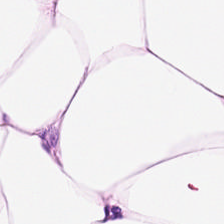Stain: H&E stain.
Preparation: FFPE tissue section.
Classification: adipose.
